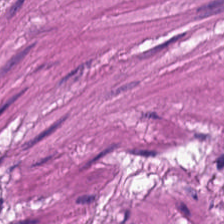H&E — This field is smooth muscle.
